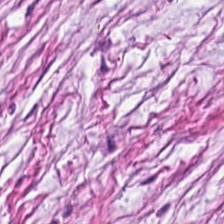Whole-slide-image patch. H&E. The predominant tissue is tumor-associated stroma.
